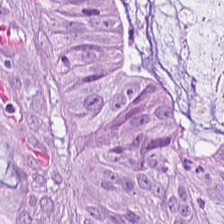224×224 px patch. Hematoxylin and eosin. Histology → tumor epithelium.
